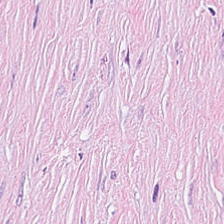H&E stain; 224×224 pixel tile; FFPE. The tissue here is desmoplastic stroma.
